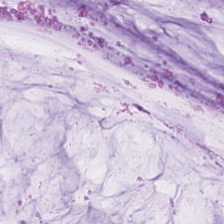FFPE · brightfield microscopy · hematoxylin-and-eosin stained section — Predominant tissue = mucin.
